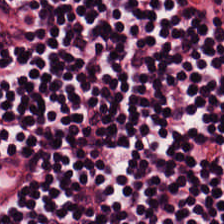This field is lymphocyte aggregate.
